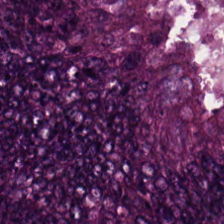H&E. Q: What is shown here?
A: Adenocarcinoma.
